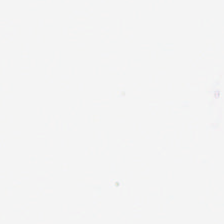H&E — Classification — no tissue.
